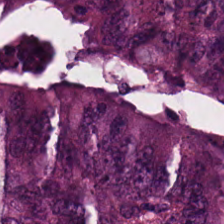Hematoxylin and eosin.
Histology — adenocarcinoma.
